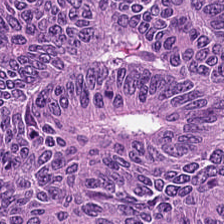H&E stain.
This field is malignant epithelium.
